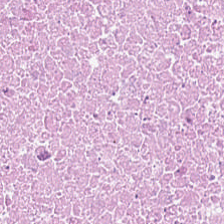Tissue class — necrotic debris.
